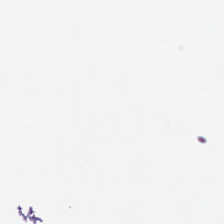H&E stain — Background — no tissue in this field.
